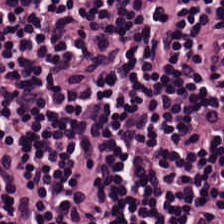Stain: H&E-stained tissue section.
Tissue class: lymphocytes.
